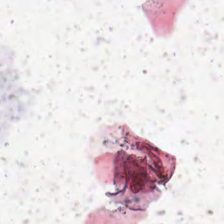WSI patch · 224×224 pixel tile · H&E-stained tissue section.
Q: What is shown in this field?
A: The field shows background (no tissue).
